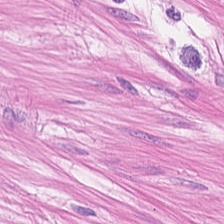Stain: hematoxylin-and-eosin stained section.
Tissue: smooth muscle.
